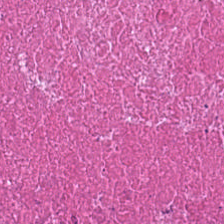H&E stain · 0.5 µm per pixel.
Cellular debris.
